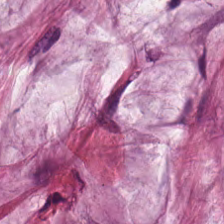0.5 µm per pixel. WSI patch. H&E stain.
{"tissue_type": "mucin"}
